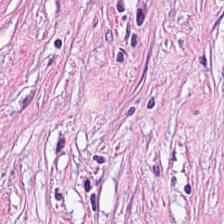H&E — cancer-associated stroma.
